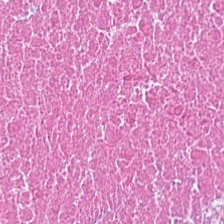Brightfield microscopy; H&E-stained tissue section; 224×224 pixel tile. This patch shows cellular debris.
